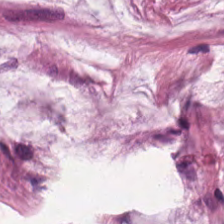H&E-stained section; the field shows extracellular mucin.
